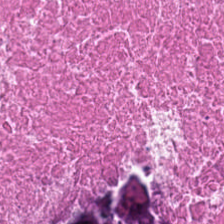The tissue here is debris.
